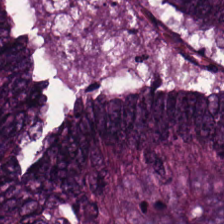H&E.
The tissue class is adenocarcinoma.
